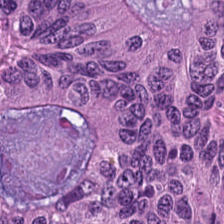Formalin-fixed paraffin-embedded section · H&E · 224×224 px patch. The classification is malignant epithelium.
